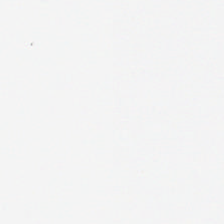Hematoxylin-and-eosin stained section · 224×224 pixel tile — Background — no tissue in this field.
